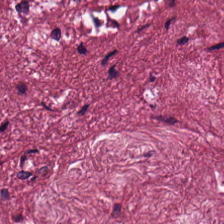Hematoxylin-and-eosin stained section — This field is tumor-associated stroma.
